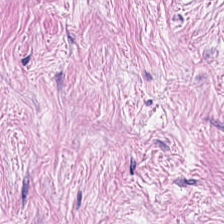H&E-stained tissue section — {"tissue_type": "tumor-associated stroma"}
